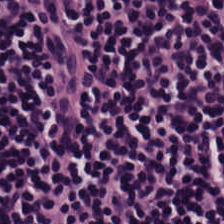Lymphocytes.
